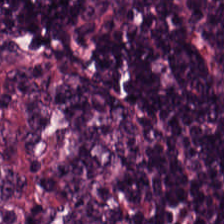224×224 px patch; WSI patch; hematoxylin and eosin. Showing lymphocytes.
